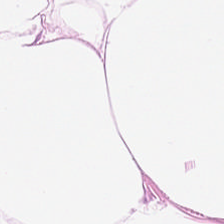H&E stain. 224×224 px patch. Formalin-fixed paraffin-embedded section — Predominantly fat tissue.
